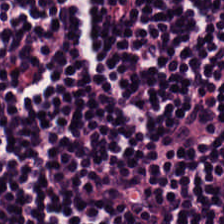Whole-slide-image patch · H&E-stained tissue section. Finding — lymphocytes.
